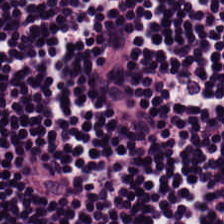Stain: hematoxylin-and-eosin stained section.
Tissue: lymphocytes.
